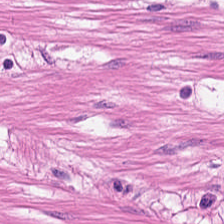H&E — Smooth muscle.
